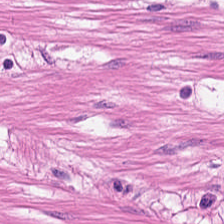H&E — Smooth muscle.
